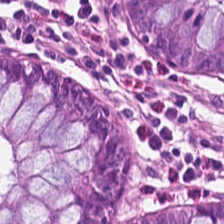Stain: hematoxylin and eosin.
Acquisition: WSI patch.
Tissue class: normal colonic mucosa.
